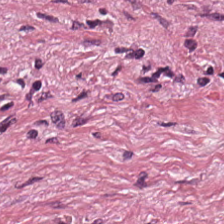Tumor stroma.
